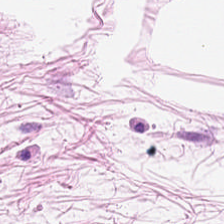Hematoxylin and eosin. 20× equivalent magnification — This field is adipose tissue.
